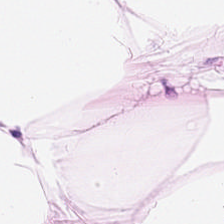H&E.
Fat tissue.
